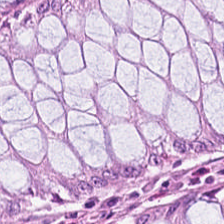H&E-stained tissue section · formalin-fixed paraffin-embedded section.
Impression — non-neoplastic colon mucosa.
